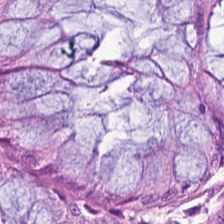Brightfield. 224×224 px tile. H&E-stained tissue section — Q: What is the predominant tissue type?
A: This is normal colonic mucosa.
